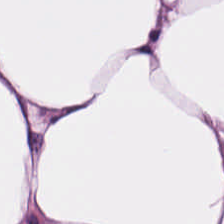H&E. The tissue type is adipocytes.
